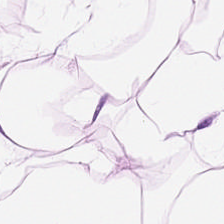Stain: H&E stain.
Resolution: 0.5 microns per pixel.
Classification: adipocytes.
